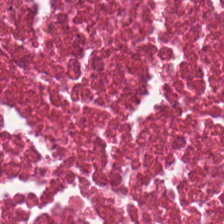H&E — This field is debris.
